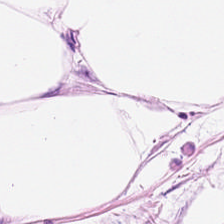Histology → adipose tissue.
